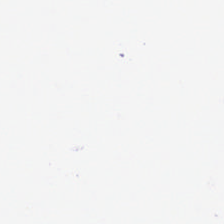0.5 µm/px. H&E-stained tissue section. Brightfield.
Q: Classify this patch.
A: No tissue.
